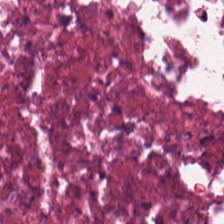Q: What tissue is shown?
A: This is debris.
